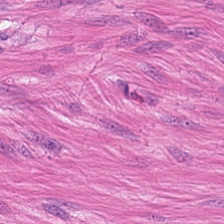Hematoxylin and eosin.
Classification: smooth-muscle tissue.
